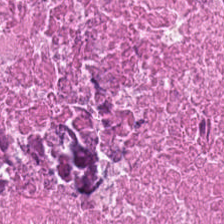H&E stain.
Predominantly debris.
